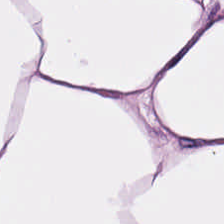Brightfield · hematoxylin-and-eosin stained section. Q: What type of tissue is this?
A: The field shows adipocytes.
